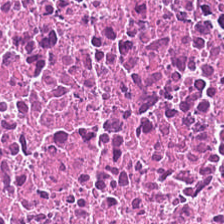224×224 px patch. Whole-slide-image patch. H&E stain.
Histology — cellular debris.
